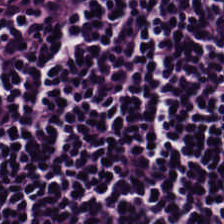H&E-stained tissue section. Predominant tissue — lymphocyte aggregate.
